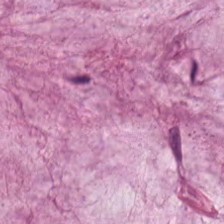H&E. Brightfield.
Predominantly mucus.
